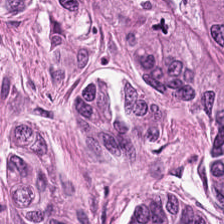Tissue type = colorectal adenocarcinoma.
